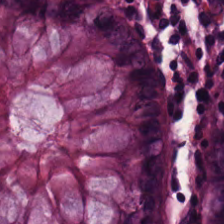Hematoxylin and eosin.
The predominant tissue is benign colonic mucosa.
